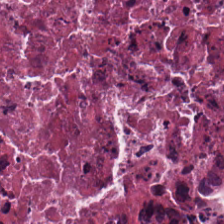FFPE tissue section; H&E.
The tissue is debris.
